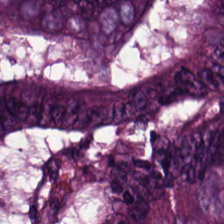H&E; whole-slide-image patch; 224×224 px tile.
This patch shows colorectal adenocarcinoma epithelium.
